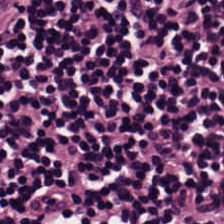Predominantly lymphoid infiltrate.
